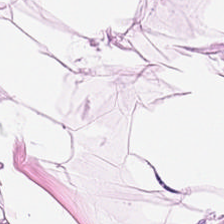H&E — This field is fat tissue.
